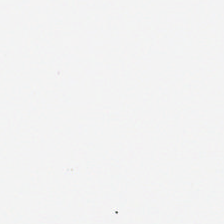No tissue.
